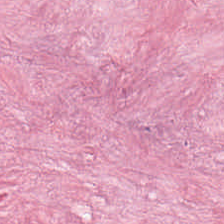Showing cancer-associated stroma.
